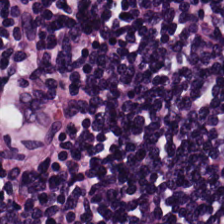Stain: hematoxylin and eosin.
Classification: lymphoid infiltrate.
